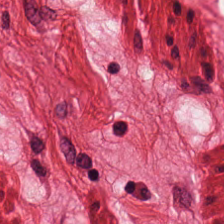H&E stain; whole-slide-image patch; 0.5 microns per pixel.
The predominant tissue is smooth muscle.
